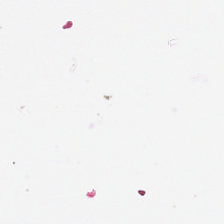Hematoxylin-and-eosin stained section. Empty background.
